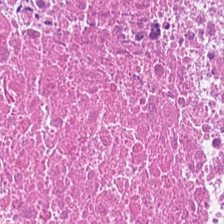224×224 px patch. Hematoxylin and eosin. Finding — debris.
